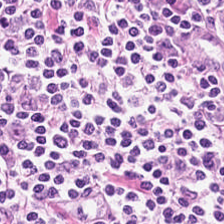224×224 px patch; hematoxylin and eosin. Predominant tissue: lymphoid infiltrate.
